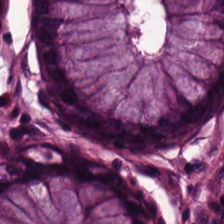H&E — This patch shows normal colon mucosa.
